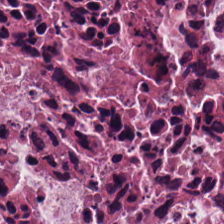WSI patch; hematoxylin and eosin; 224×224 px patch — {"tissue_type": "necrotic debris"}
